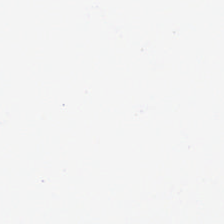Hematoxylin and eosin · 20× equivalent magnification — Q: What is shown in this field?
A: The field shows no tissue.
